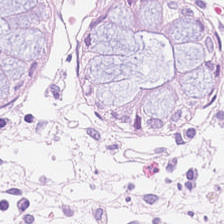H&E.
Non-neoplastic colon mucosa.
